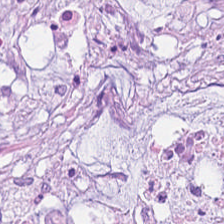H&E stain.
Predominantly mucin.
